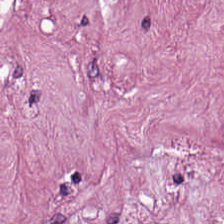Hematoxylin and eosin — Showing tumor stroma.
